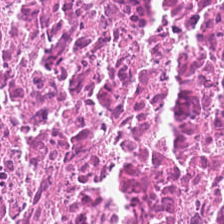H&E · WSI patch.
Q: Classify this patch.
A: This is cellular debris.
